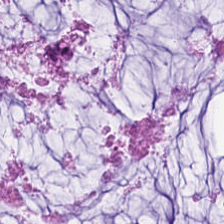{"tissue_type": "mucin"}
